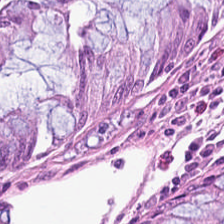H&E-stained tissue section; 224×224 px patch — This field is benign colonic mucosa.
